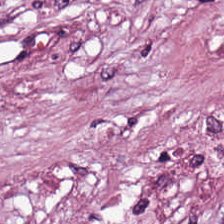Hematoxylin-and-eosin stained section — Q: What is the predominant tissue type?
A: This is tumor-associated stroma.
